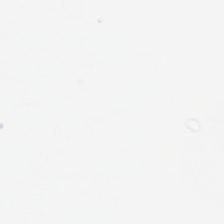H&E. This patch shows no tissue.
